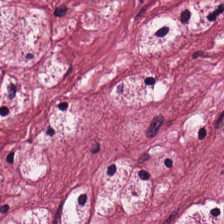Hematoxylin and eosin.
{"tissue_type": "tumor-associated stroma"}
